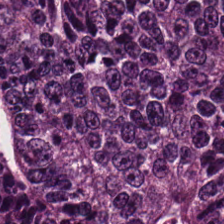Stain: H&E.
Tile size: 224×224 px tile.
Tissue type: tumor epithelium.
